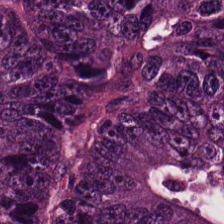Predominant tissue = malignant epithelium.
